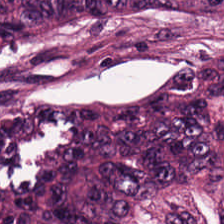H&E. 224×224 px patch — The classification is adenocarcinoma.
